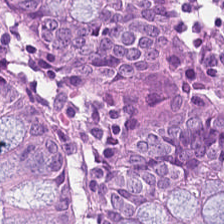H&E — non-neoplastic colon mucosa.
